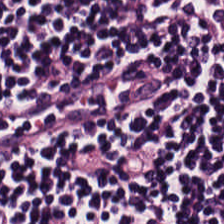Stain: hematoxylin and eosin.
Resolution: 0.5 µm/px.
Tile size: 224×224 px tile.
Tissue type: lymphocyte aggregate.
